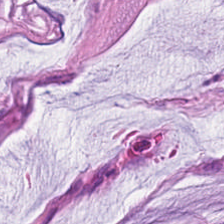H&E-stained tissue section.
The classification is mucin.
